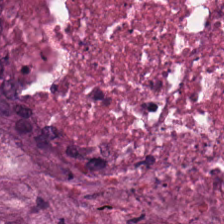Hematoxylin and eosin. FFPE. 20× equivalent magnification. Q: What does this patch show?
A: The field shows debris.
